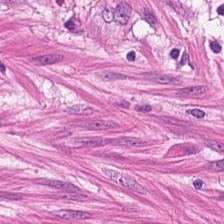FFPE tissue section; H&E.
The tissue class is smooth muscle.
